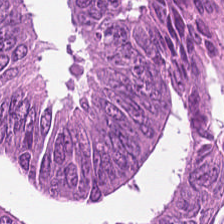224×224 px patch. H&E stain.
Tissue — malignant epithelium.
